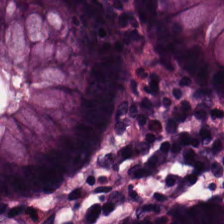H&E stain. Predominant tissue = benign colonic mucosa.
